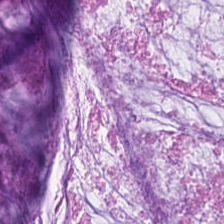Hematoxylin-and-eosin stained section — Classification = mucus.
